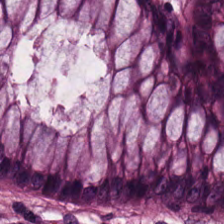Hematoxylin and eosin · 224×224 px patch · brightfield — This field is benign colonic mucosa.
